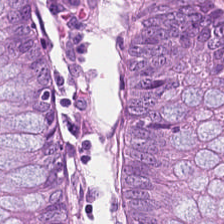Stain: H&E.
Tissue class: normal colonic mucosa.
